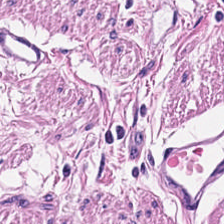FFPE; hematoxylin and eosin.
This patch shows smooth-muscle tissue.
